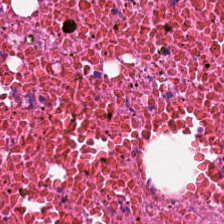H&E — Cellular debris.
